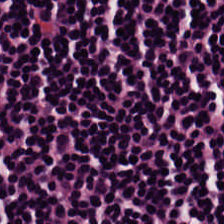The tissue here is lymphocytic infiltrate.
